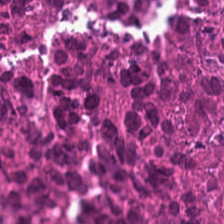0.5 µm/px · hematoxylin and eosin.
Showing debris.
